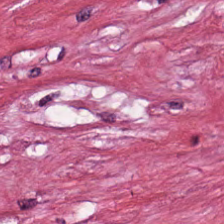224×224 px tile; H&E-stained tissue section. {"tissue_type": "cancer-associated stroma"}
